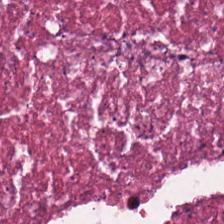H&E stain — Q: What tissue is shown?
A: This is debris.
